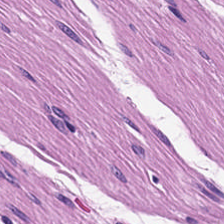H&E stain. Histology — smooth muscle.
